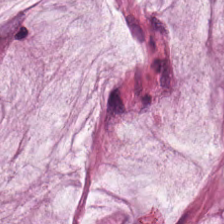H&E — mucus.
